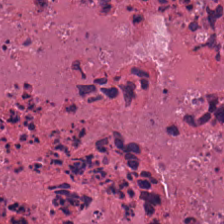224×224 px patch · hematoxylin-and-eosin stained section — Q: Identify the tissue.
A: The field shows debris.
